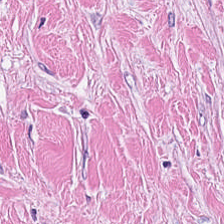This field is cancer-associated stroma.
